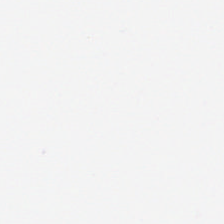Whole-slide-image patch; H&E-stained tissue section.
No tissue present; background only.
